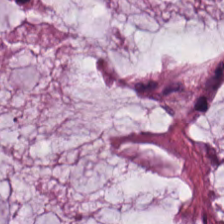H&E-stained tissue section. Predominant tissue — mucus.
